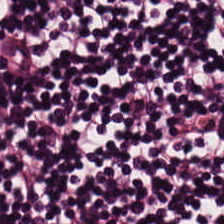H&E stain. The tissue is lymphocytes.
